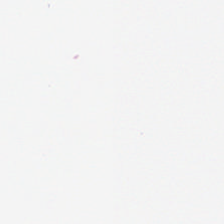Stain: H&E.
Acquisition: whole-slide-image patch.
Classification: background (no tissue).
